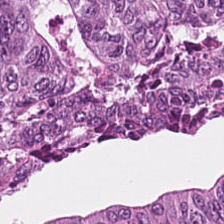Q: What tissue is shown?
A: The field shows colorectal adenocarcinoma epithelium.
